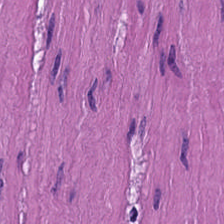Hematoxylin-and-eosin stained section.
The classification is smooth-muscle tissue.
